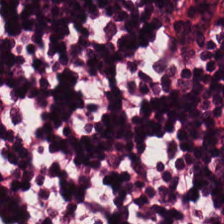H&E — This field is lymphocytes.
